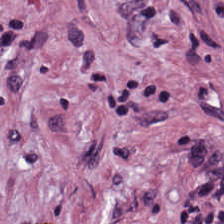H&E stain; 224×224 pixel tile; FFPE.
Q: What tissue type is shown here?
A: Tumor stroma.
